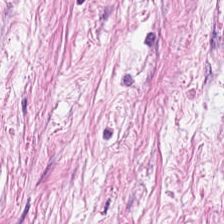Hematoxylin and eosin. This patch shows tumor stroma.
